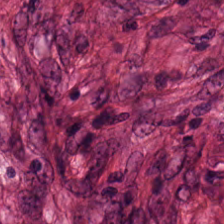H&E. {"tissue_type": "desmoplastic stroma"}
